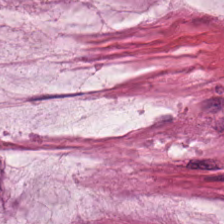H&E-stained tissue section; brightfield. Classification — mucin.
